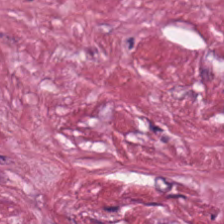H&E.
Tumor-associated stroma.
